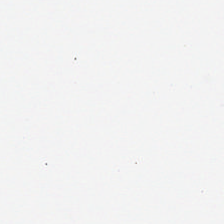Hematoxylin-and-eosin stained section; formalin-fixed paraffin-embedded section — Classification: background.
